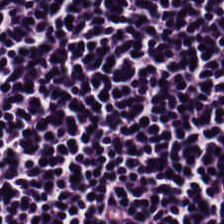Showing lymphocytes.
